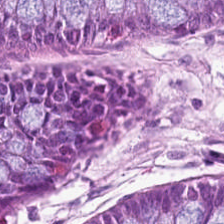Stain: H&E.
Acquisition: brightfield.
Tissue: non-neoplastic colon mucosa.
